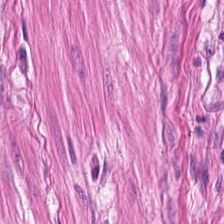Hematoxylin-and-eosin stained section. Predominantly smooth muscle.
